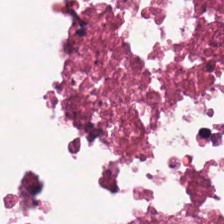Tissue class — necrotic debris.
